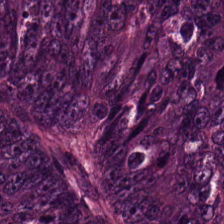224×224 px patch · hematoxylin and eosin — Tissue type: tumor epithelium.
